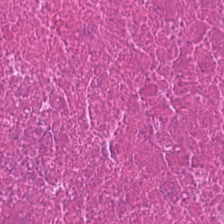Hematoxylin and eosin · 224×224 pixel tile · 0.5 microns per pixel — Impression — necrotic debris.
